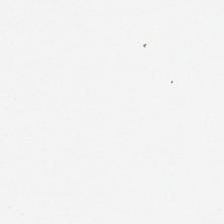0.5 µm/px · H&E.
{"content": "no tissue"}
